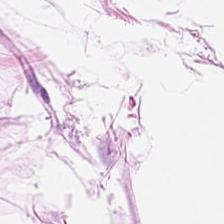Impression — adipose.
